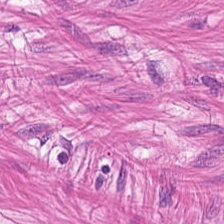Q: What type of tissue is this?
A: It is smooth-muscle tissue.
